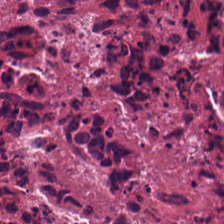Cellular debris.
